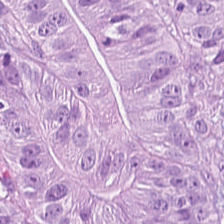{"tissue_type": "colorectal adenocarcinoma epithelium"}
